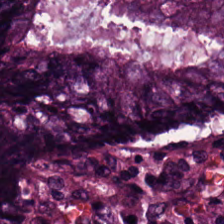Hematoxylin-and-eosin stained section — {"tissue_type": "colorectal adenocarcinoma"}
